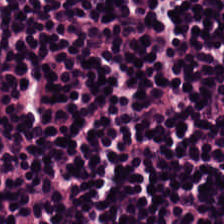H&E-stained tissue section.
Q: What type of tissue is this?
A: The field shows lymphocytes.
